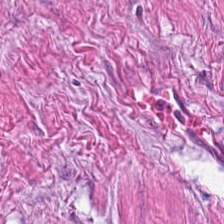Brightfield microscopy · H&E · 224×224 px tile — Smooth-muscle tissue.
